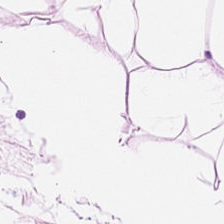Stain: H&E-stained tissue section.
Tissue class: fat tissue.
